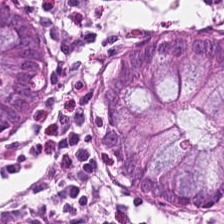Formalin-fixed paraffin-embedded section · H&E-stained tissue section.
Showing normal colonic mucosa.
